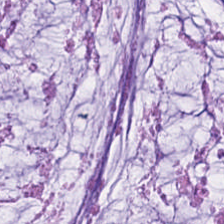Tissue = mucus.
